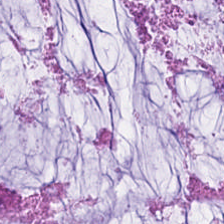0.5 microns per pixel; brightfield microscopy; H&E-stained tissue section — Predominant tissue = mucus.
